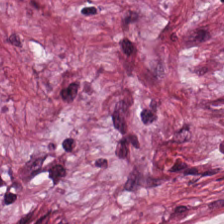Q: Classify this patch.
A: Desmoplastic stroma.
